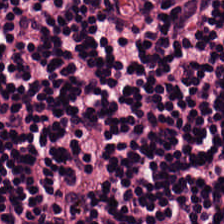Hematoxylin and eosin; 224×224 px tile; WSI patch. Predominantly lymphoid infiltrate.
